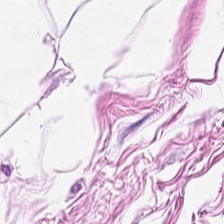FFPE. H&E-stained tissue section. 224×224 pixel tile. Finding — adipocytes.
